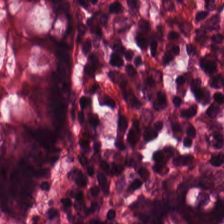H&E stain — Histology — benign colonic mucosa.
